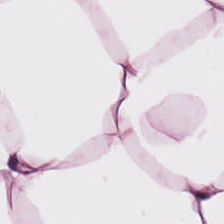Hematoxylin and eosin · brightfield microscopy — Classification — adipocytes.
